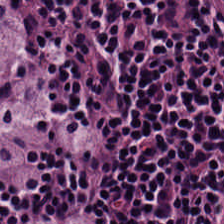Hematoxylin and eosin; whole-slide-image patch. The tissue class is lymphoid infiltrate.
